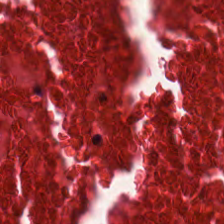Hematoxylin and eosin. Finding → cellular debris.
